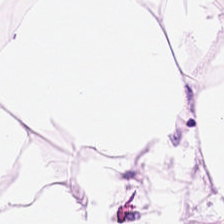0.5 µm per pixel. Hematoxylin and eosin.
Tissue type — adipocytes.
